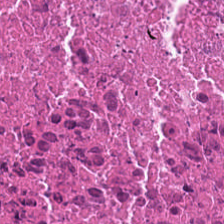Hematoxylin-and-eosin section: cellular debris.
